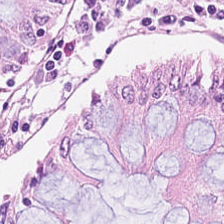20× equivalent magnification. Hematoxylin-and-eosin stained section.
Tissue type = normal colonic mucosa.
